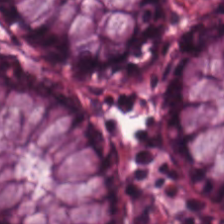Stain: H&E stain.
Tissue class: normal colon mucosa.
